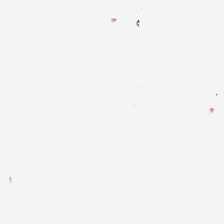Hematoxylin and eosin — No tissue present; background only.
